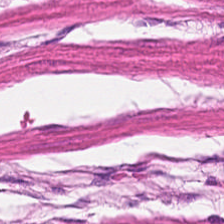0.5 µm/px. Hematoxylin and eosin.
The tissue class is smooth-muscle tissue.
